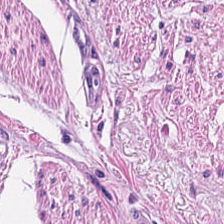FFPE. H&E stain. Brightfield — Muscularis.
